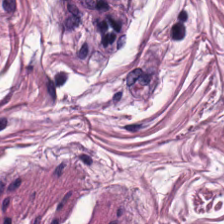FFPE tissue section; hematoxylin-and-eosin stained section; brightfield microscopy — The predominant tissue is smooth-muscle tissue.
